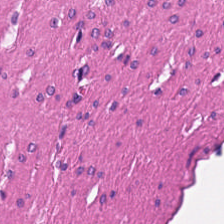Stain: H&E-stained tissue section.
Tissue class: muscularis.
